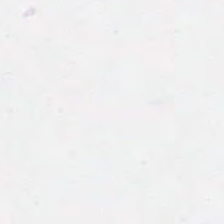Content = empty background.
